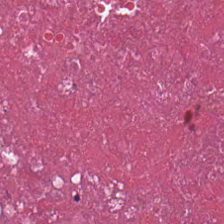H&E — Showing cellular debris.
